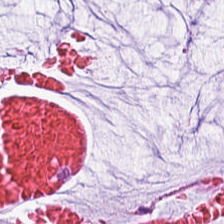H&E-stained tissue section — Q: Classify this patch.
A: This is mucus.
